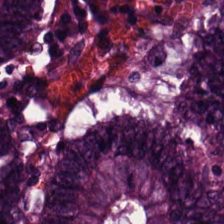0.5 µm per pixel; brightfield microscopy; H&E stain — This patch shows tumor epithelium.
